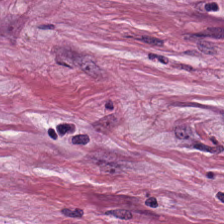Stain: H&E-stained tissue section.
Tissue type: cancer-associated stroma.
